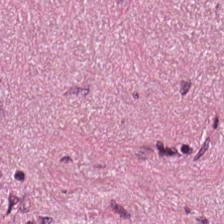224×224 pixel tile; H&E stain.
Impression → tumor stroma.
